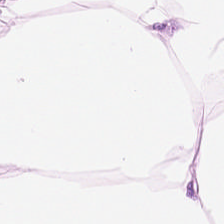Tissue class = adipose tissue.
